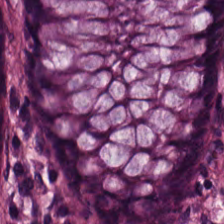Histology → normal colon mucosa.
